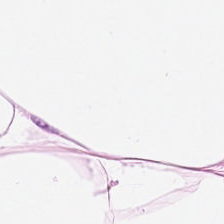H&E — Predominant tissue: adipose.
